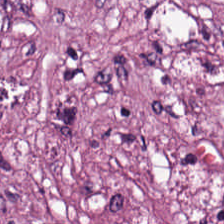Q: What type of tissue is this?
A: Tumor-associated stroma.
